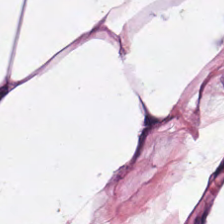Brightfield microscopy · 224×224 px tile · H&E — Impression → fat tissue.
